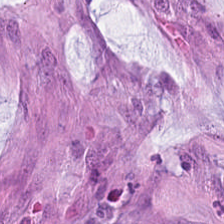H&E-stained tissue section.
This field is extracellular mucin.
